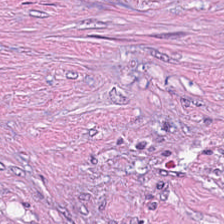H&E stain. 0.5 µm/px — This field is desmoplastic stroma.
